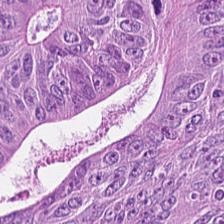0.5 microns per pixel. H&E-stained tissue section — Showing tumor epithelium.
